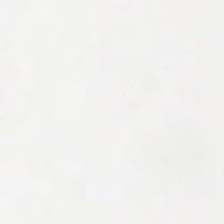Hematoxylin-and-eosin stained section. The content is empty background.
